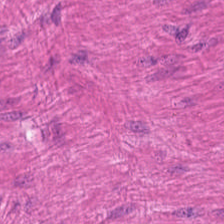Hematoxylin-and-eosin stained section · 0.5 µm/px.
The tissue type is smooth-muscle tissue.
